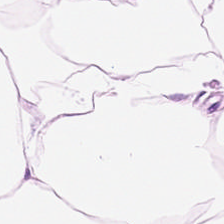Hematoxylin-and-eosin stained section.
Q: What does this patch show?
A: Adipocytes.
